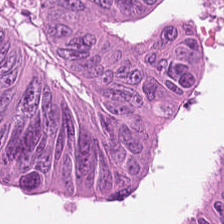H&E stain. FFPE tissue section. 0.5 microns per pixel. The predominant tissue is colorectal adenocarcinoma.
